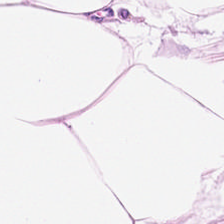H&E stain. This patch shows adipose.
